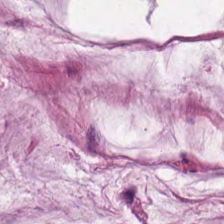224×224 px tile; H&E. The tissue here is mucin.
